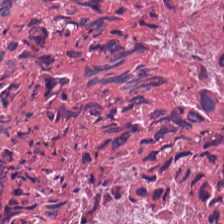224×224 pixel tile; WSI patch; hematoxylin and eosin — The predominant tissue is cellular debris.
